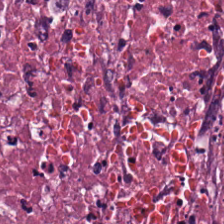Brightfield microscopy. H&E stain. Cellular debris.
